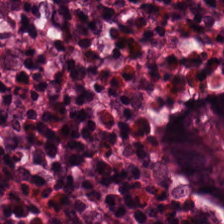0.5 µm per pixel · H&E-stained tissue section — Predominant tissue — non-neoplastic colon mucosa.
